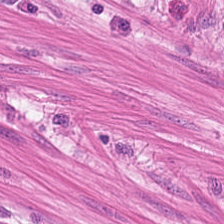Stain: hematoxylin-and-eosin stained section.
Acquisition: brightfield.
Predominant tissue: smooth muscle.
